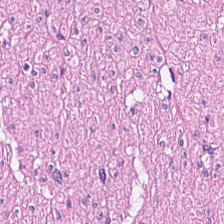FFPE tissue section; H&E stain. Q: Identify the tissue.
A: The field shows smooth-muscle tissue.
